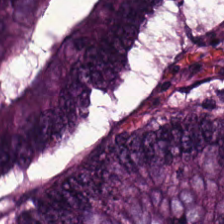H&E stain. Colorectal adenocarcinoma.
